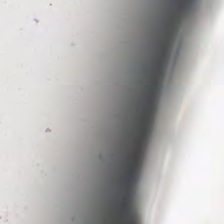Hematoxylin and eosin; whole-slide-image patch; 0.5 microns per pixel — Q: What is shown in this field?
A: The field shows no tissue.
